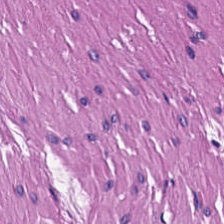Stain: H&E-stained tissue section.
Preparation: FFPE tissue section.
Tissue: smooth-muscle tissue.
